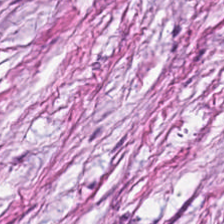H&E. 224×224 px tile — Tissue: desmoplastic stroma.
